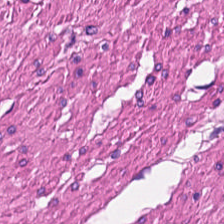Tissue type = smooth-muscle tissue.
